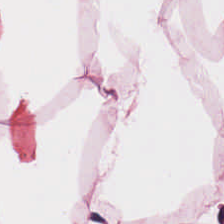H&E — fat tissue.
